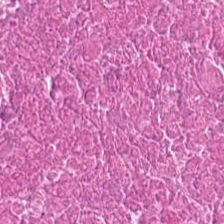Hematoxylin and eosin. 0.5 µm per pixel. 224×224 px tile. This patch shows cellular debris.
